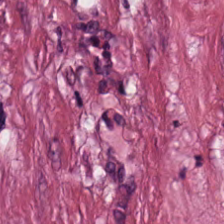H&E-stained tissue section · 224×224 px patch — The predominant tissue is tumor-associated stroma.
